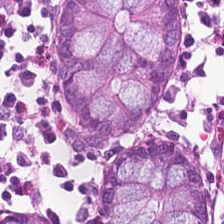H&E stain. Histology → normal colon mucosa.
